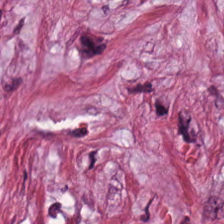20× equivalent magnification; hematoxylin and eosin — Predominantly desmoplastic stroma.
